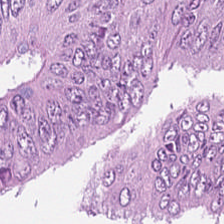Hematoxylin-and-eosin stained section. Tissue class: malignant epithelium.
